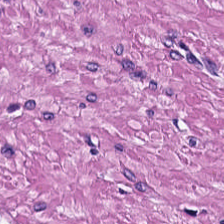Tissue = smooth-muscle tissue.
